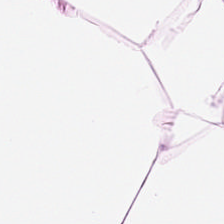Hematoxylin-and-eosin stained section — Predominantly adipose tissue.
